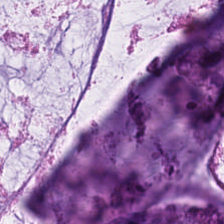20× equivalent magnification · H&E — The predominant tissue is mucin.
